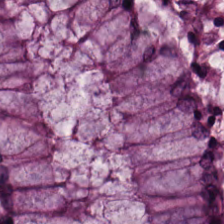H&E stain. Finding — normal colon mucosa.
